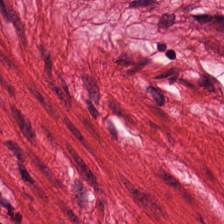Predominant tissue: smooth-muscle tissue.
